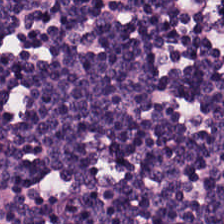H&E; formalin-fixed paraffin-embedded section.
This patch shows lymphocytes.
